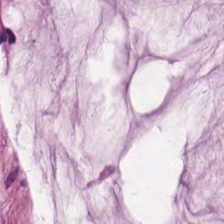Tissue class = mucin.
